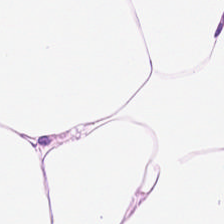Tissue: adipocytes.
